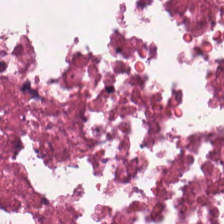0.5 µm per pixel; hematoxylin-and-eosin stained section — Tissue class: cellular debris.
